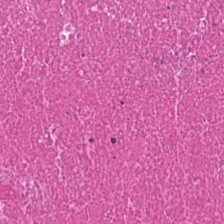H&E-stained tissue section — Q: What is shown in this field?
A: It is cellular debris.
